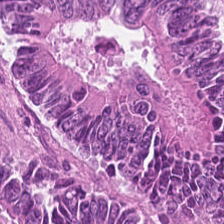The classification is colorectal adenocarcinoma epithelium.
